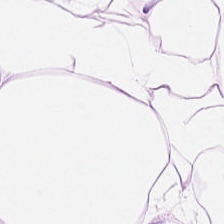Hematoxylin-and-eosin stained section · WSI patch. This patch shows adipose.
